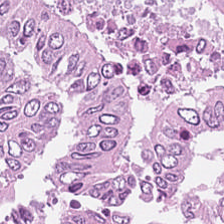Formalin-fixed paraffin-embedded section. H&E-stained tissue section. Brightfield — Tissue: colorectal adenocarcinoma.
